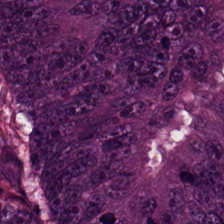H&E stain.
Showing malignant epithelium.
